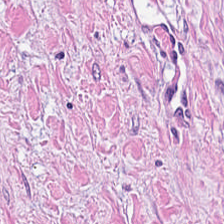WSI patch · 224×224 pixel tile · H&E stain. Tissue class — cancer-associated stroma.
